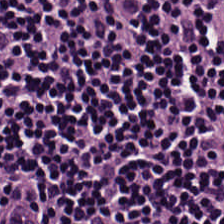H&E-stained tissue section showing lymphocytic infiltrate.
